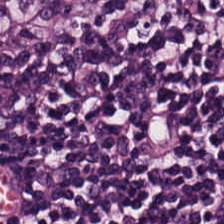H&E. This field is lymphocytes.
